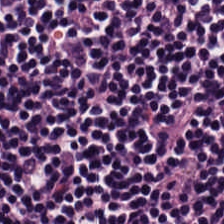Hematoxylin-and-eosin stained section; brightfield microscopy.
Predominant tissue: lymphocytic infiltrate.
